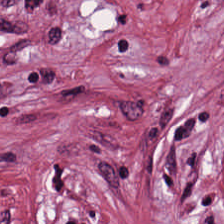Stain: hematoxylin and eosin.
Tissue type: desmoplastic stroma.
